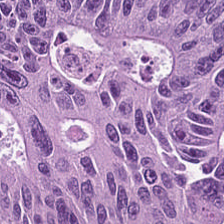H&E stain. 0.5 µm/px — Tumor epithelium.
